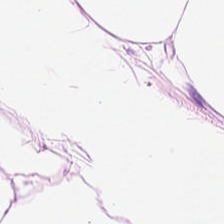Stain: H&E-stained tissue section.
Tissue: adipose tissue.
